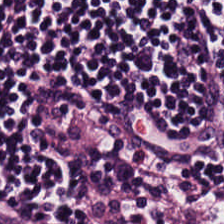Stain: hematoxylin and eosin.
Tissue class: lymphoid infiltrate.
